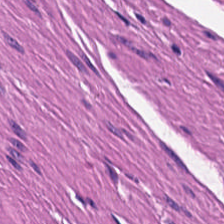H&E.
Tissue type: muscularis.
